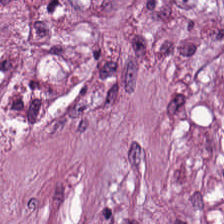Hematoxylin and eosin.
The predominant tissue is desmoplastic stroma.
